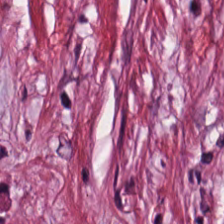Hematoxylin-and-eosin section: tumor-associated stroma.
